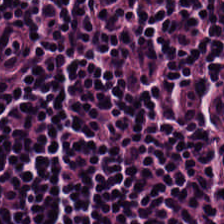224×224 px patch · H&E stain · FFPE.
Showing lymphocytic infiltrate.
